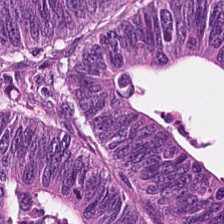Hematoxylin-and-eosin stained section — The predominant tissue is tumor epithelium.
